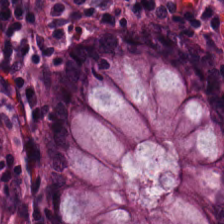H&E stain.
Q: Identify the tissue.
A: This is normal colon mucosa.
